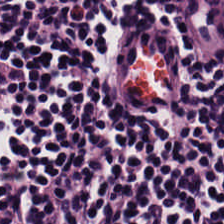Q: What tissue is shown?
A: This is lymphocyte aggregate.
